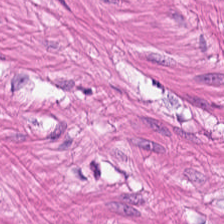Stain: H&E stain.
Acquisition: brightfield microscopy.
Tile size: 224×224 pixel tile.
Tissue type: smooth-muscle tissue.
